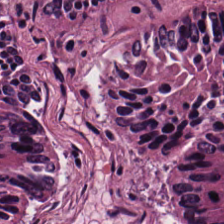224×224 pixel tile; H&E stain; brightfield microscopy.
Tissue type — malignant epithelium.
